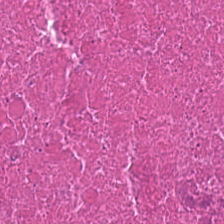Stain: H&E.
Resolution: 0.5 microns per pixel.
Predominant tissue: cellular debris.
